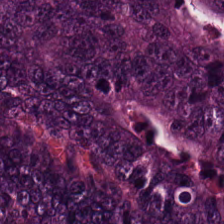Tissue class: adenocarcinoma.
